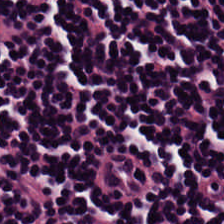H&E stain. 224×224 px patch. The tissue here is lymphocyte aggregate.
